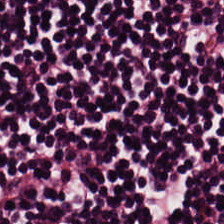Hematoxylin-and-eosin stained section — Tissue — lymphocytes.
